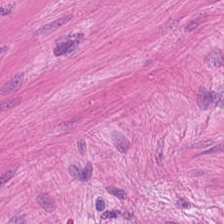H&E stain. Histology — smooth-muscle tissue.
